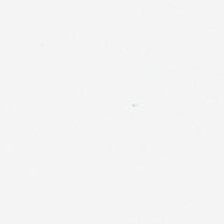Hematoxylin and eosin. Impression — background.
